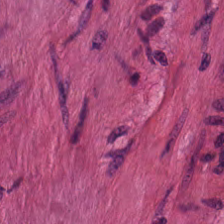Q: What type of tissue is this?
A: Smooth muscle.
